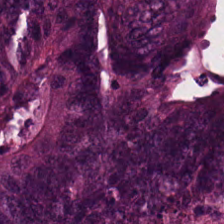Stain: H&E.
Tile size: 224×224 px tile.
Predominant tissue: colorectal adenocarcinoma epithelium.
